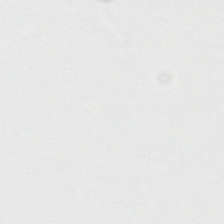H&E. Impression → no tissue.
